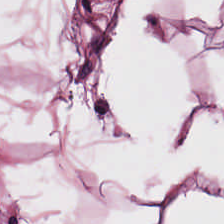Hematoxylin-and-eosin stained section.
Tissue = fat tissue.
